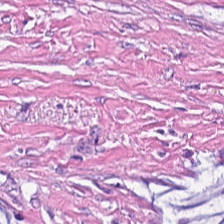H&E stain — This field is tumor stroma.
